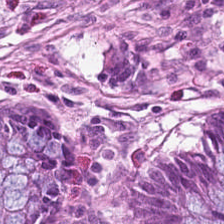Stain: H&E stain.
Classification: normal colonic mucosa.
